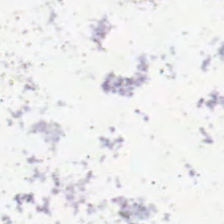H&E.
This field is background (no tissue).
